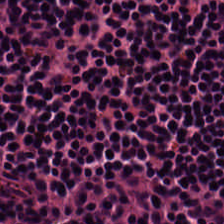H&E.
{"tissue_type": "lymphoid infiltrate"}
